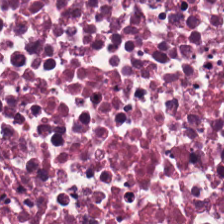Hematoxylin and eosin.
Q: Identify the tissue.
A: The field shows cellular debris.
